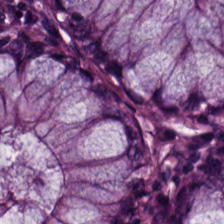H&E stain. Q: What tissue type is shown here?
A: This is benign colonic mucosa.
